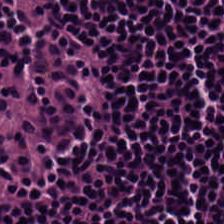Brightfield microscopy; hematoxylin-and-eosin stained section. Lymphocytes.
